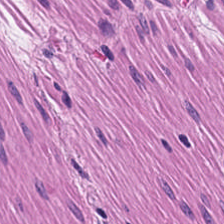Hematoxylin and eosin — Tissue = smooth muscle.
